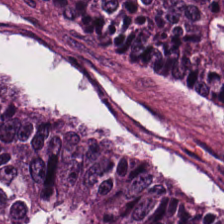H&E. The predominant tissue is colorectal adenocarcinoma.
